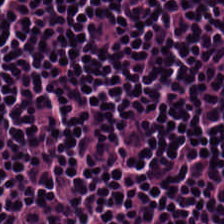Classification — lymphocytic infiltrate.
